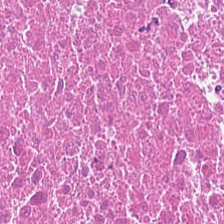Brightfield; 0.5 microns per pixel; hematoxylin-and-eosin stained section — {"tissue_type": "debris"}
